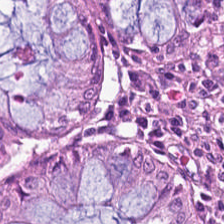H&E-stained tissue section · 224×224 pixel tile — This field is normal colonic mucosa.
